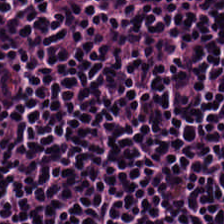H&E — Q: What does this patch show?
A: The field shows lymphocyte aggregate.
